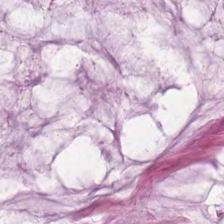The tissue here is mucus.
